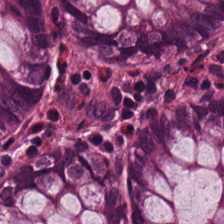Hematoxylin and eosin; FFPE tissue section; 224×224 pixel tile — Histology — normal colonic mucosa.
